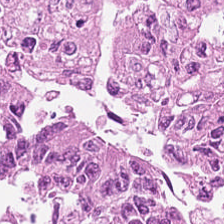H&E — tumor epithelium.
